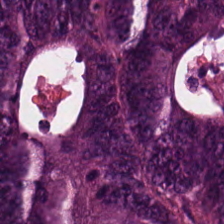The predominant tissue is colorectal adenocarcinoma.
